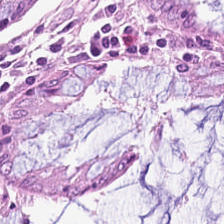Stain: H&E stain.
Classification: normal colon mucosa.
